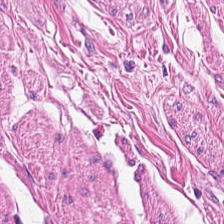The tissue is smooth-muscle tissue.
